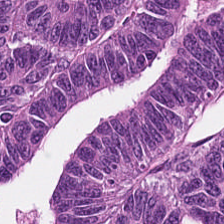Hematoxylin-and-eosin stained section.
This patch shows colorectal adenocarcinoma.
